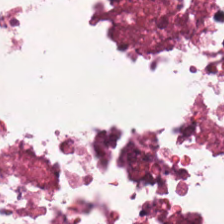20× equivalent magnification; FFPE; H&E-stained tissue section.
Predominant tissue = cellular debris.
